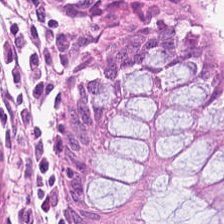Hematoxylin-and-eosin stained section — {"tissue_type": "benign colonic mucosa"}
